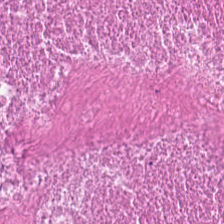0.5 µm/px. Hematoxylin-and-eosin stained section. Brightfield microscopy — This field is necrotic debris.
